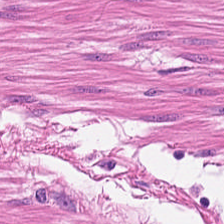Hematoxylin-and-eosin stained section.
Histology → smooth muscle.
